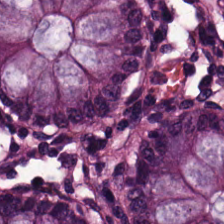The predominant tissue is normal colonic mucosa.
